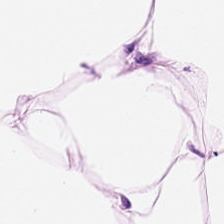Tissue = adipocytes.
